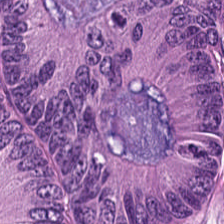224×224 pixel tile · hematoxylin-and-eosin stained section — Colorectal adenocarcinoma.
